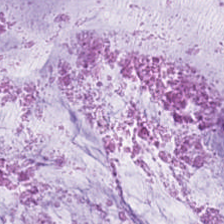H&E · 224×224 pixel tile. Q: What does this patch show?
A: This is mucin.
